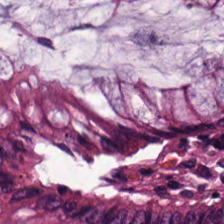H&E stain — The tissue is non-neoplastic colon mucosa.
